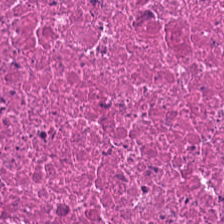The tissue here is cellular debris.
